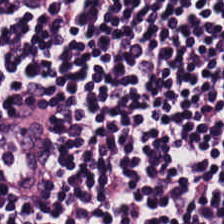Hematoxylin and eosin. 224×224 px patch. Finding — lymphoid infiltrate.
